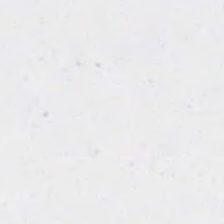Background — no tissue in this field.
